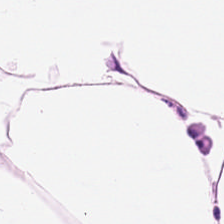Hematoxylin and eosin. Histology — adipose.
